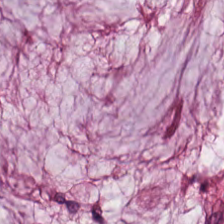Whole-slide-image patch; 224×224 px patch; H&E. The predominant tissue is mucus.
